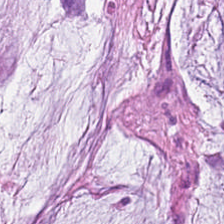H&E-stained tissue section.
This field is extracellular mucin.
